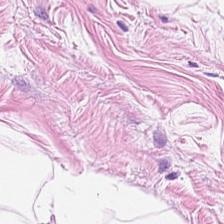Adipose tissue.
